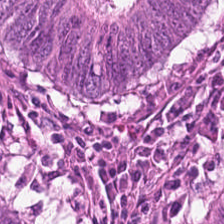Brightfield microscopy; H&E-stained tissue section — Tumor epithelium.
